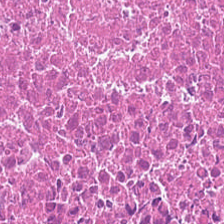Hematoxylin and eosin — This patch shows necrotic debris.
